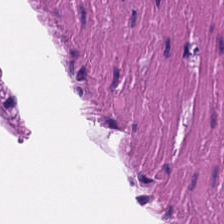Hematoxylin and eosin; 0.5 µm/px.
Q: What type of tissue is this?
A: This is muscularis.
